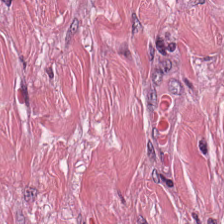Q: What is shown in this field?
A: The field shows desmoplastic stroma.
